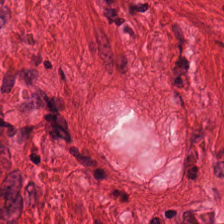Stain: hematoxylin and eosin.
Tile size: 224×224 pixel tile.
Tissue: muscularis.
